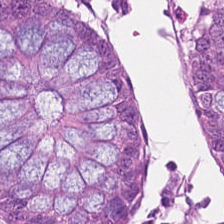Hematoxylin-and-eosin stained section.
The tissue type is normal colon mucosa.
